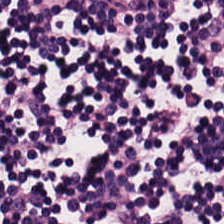Hematoxylin-and-eosin stained section; brightfield; 224×224 pixel tile — Lymphocyte aggregate.
